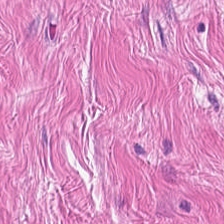Q: Identify the tissue.
A: It is muscularis.
